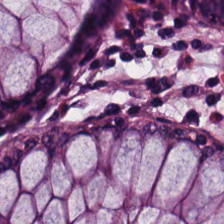H&E. This patch shows normal colonic mucosa.
